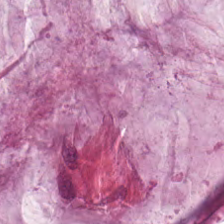Brightfield microscopy. H&E.
Tissue type — extracellular mucin.
